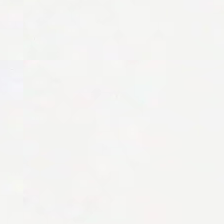H&E stain.
{"content": "background"}
